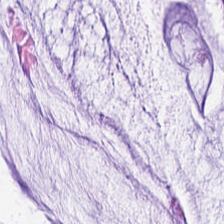Whole-slide-image patch. H&E. 224×224 pixel tile.
Predominantly extracellular mucin.
